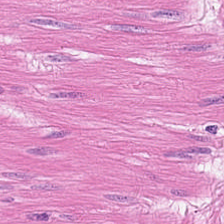224×224 pixel tile; 0.5 microns per pixel; H&E stain.
Impression → smooth-muscle tissue.
